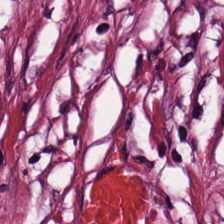H&E-stained tissue section.
This field is desmoplastic stroma.
